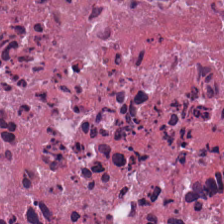Q: What is shown here?
A: This is debris.
